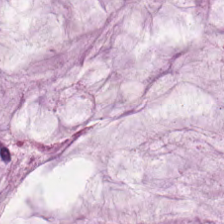Hematoxylin and eosin. Predominantly mucus.
